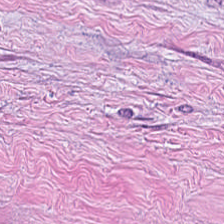H&E — Finding → desmoplastic stroma.
